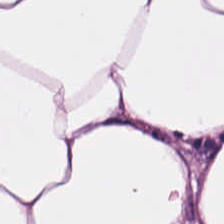0.5 µm per pixel · formalin-fixed paraffin-embedded section · H&E — Q: What is the predominant tissue type?
A: Adipocytes.
